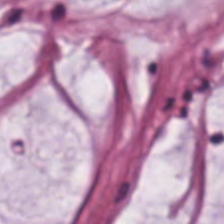{"tissue_type": "extracellular mucin"}
